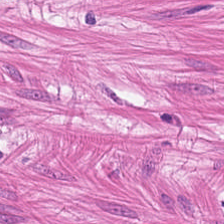Stain: H&E.
Predominant tissue: smooth muscle.
